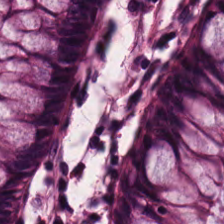Hematoxylin-and-eosin section: normal colonic mucosa.
